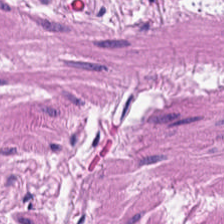FFPE tissue section; H&E stain.
Tissue type — smooth muscle.
